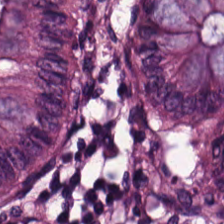Q: What is the predominant tissue type?
A: It is benign colonic mucosa.
